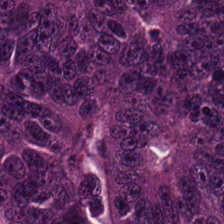H&E stain. The tissue here is colorectal adenocarcinoma.
